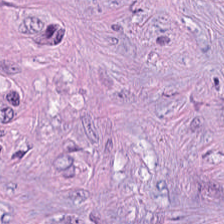224×224 px patch; hematoxylin-and-eosin stained section. Tissue = desmoplastic stroma.
